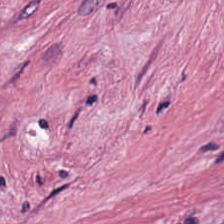Hematoxylin and eosin; 224×224 pixel tile.
The predominant tissue is cancer-associated stroma.
